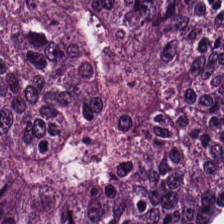Brightfield microscopy; 224×224 pixel tile; H&E stain.
Q: What does this patch show?
A: It is colorectal adenocarcinoma.
